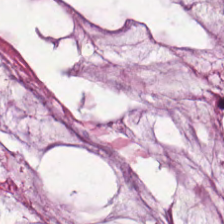H&E stain.
The tissue here is mucin.
